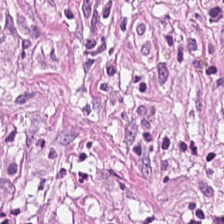Q: Classify this patch.
A: Desmoplastic stroma.
